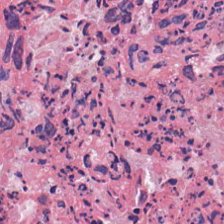H&E stain.
Q: Identify the tissue.
A: Debris.
